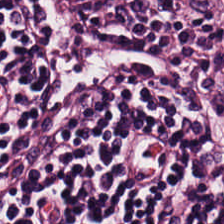Impression → lymphocyte aggregate.
